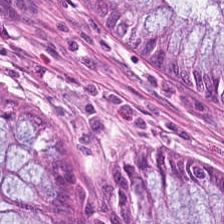H&E · 224×224 pixel tile.
Showing normal colonic mucosa.
